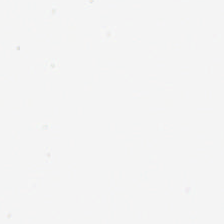H&E stain — Content: background.
